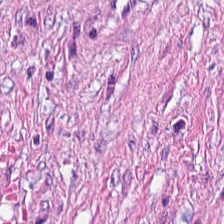Stain: hematoxylin-and-eosin stained section.
Predominant tissue: tumor-associated stroma.
